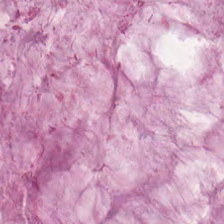Hematoxylin and eosin. Impression → mucin.
